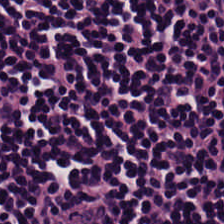Finding → lymphocytes.
